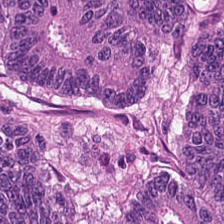Stain: hematoxylin and eosin.
Classification: colorectal adenocarcinoma epithelium.
